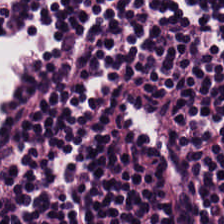Brightfield; H&E stain.
This field is lymphocytic infiltrate.
